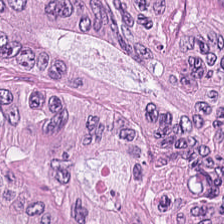This patch shows colorectal adenocarcinoma epithelium.
